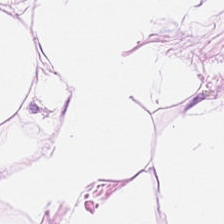Stain: H&E-stained tissue section.
Tissue class: fat tissue.
